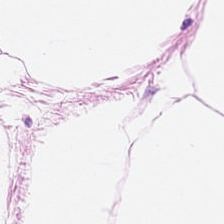H&E. 224×224 px tile — Showing fat tissue.
